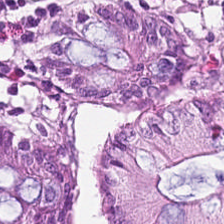Stain: hematoxylin-and-eosin stained section.
Classification: non-neoplastic colon mucosa.
